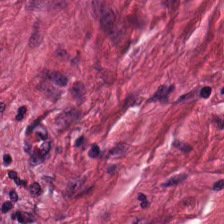H&E · WSI patch.
Tissue type = tumor-associated stroma.
